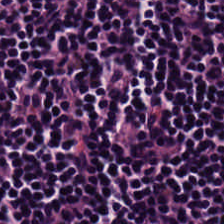Whole-slide-image patch · hematoxylin and eosin. This patch shows lymphoid infiltrate.
